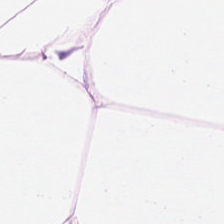Stain: hematoxylin-and-eosin stained section.
Tissue type: adipose tissue.
